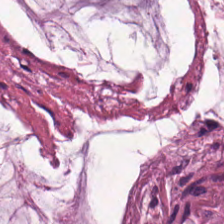This patch shows mucus.
